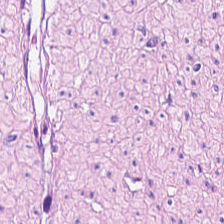Hematoxylin-and-eosin stained section. Whole-slide-image patch. 224×224 pixel tile.
Predominant tissue = smooth muscle.
